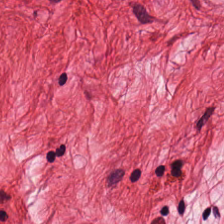Whole-slide-image patch. H&E stain. 20× equivalent magnification.
Q: Classify this patch.
A: This is smooth muscle.
